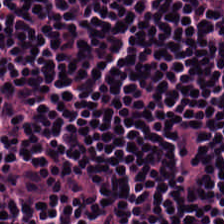Hematoxylin-and-eosin section: lymphocyte aggregate.
